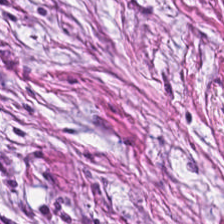0.5 µm/px · FFPE tissue section · H&E stain — {"tissue_type": "cancer-associated stroma"}
